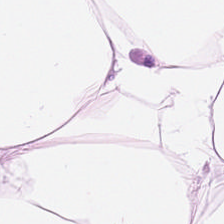H&E stain.
Q: What is shown in this field?
A: It is fat tissue.
